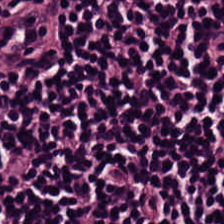20× equivalent magnification. Hematoxylin-and-eosin stained section. The tissue here is lymphocytic infiltrate.
